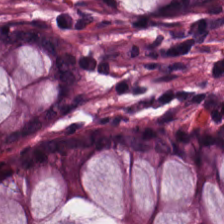Histology — non-neoplastic colon mucosa.
